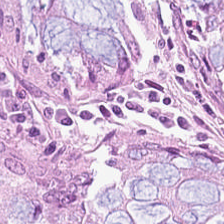Hematoxylin and eosin — Tissue class — normal colonic mucosa.
